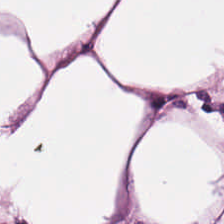Formalin-fixed paraffin-embedded section · hematoxylin-and-eosin stained section · 224×224 pixel tile — Showing fat tissue.
